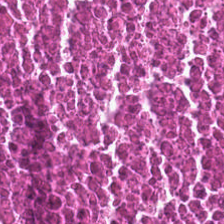Hematoxylin and eosin.
This field is necrotic debris.
